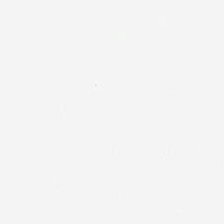H&E — Content — no tissue.
